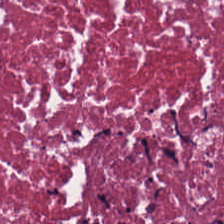Hematoxylin-and-eosin stained section. 224×224 px patch. Whole-slide-image patch — Tissue class: cellular debris.
